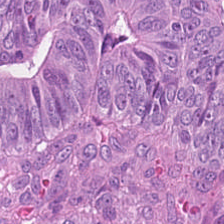H&E stain. The tissue here is tumor epithelium.
